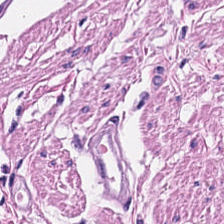Smooth muscle.
